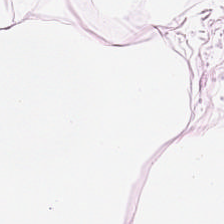20× equivalent magnification; H&E.
Q: What is the predominant tissue type?
A: Adipocytes.
